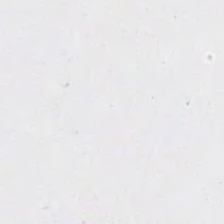Q: What is shown in this field?
A: This is background (no tissue).
